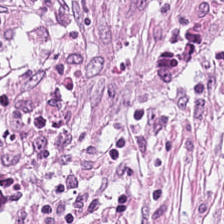H&E stain; 20× equivalent magnification. Showing cancer-associated stroma.
